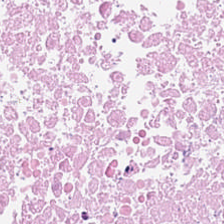H&E. Predominantly cellular debris.
